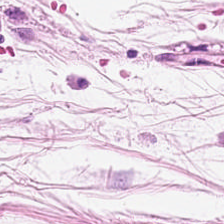FFPE. WSI patch. H&E.
Impression — adipocytes.
